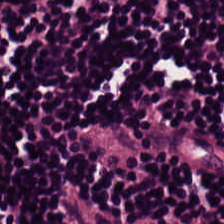Hematoxylin-and-eosin section: lymphocytes.
